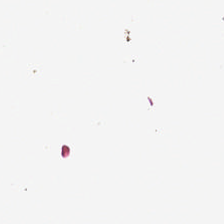H&E stain · 224×224 px patch · brightfield microscopy. No tissue present; background only.
